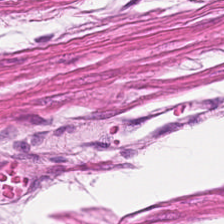FFPE; hematoxylin-and-eosin stained section. This field is muscularis.
